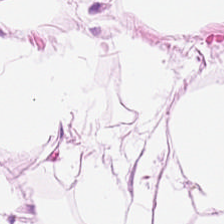Formalin-fixed paraffin-embedded section; 224×224 px tile; H&E. Q: What tissue type is shown here?
A: Adipose tissue.
